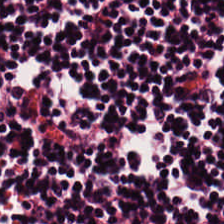0.5 µm/px · H&E-stained tissue section.
{"tissue_type": "lymphoid infiltrate"}
